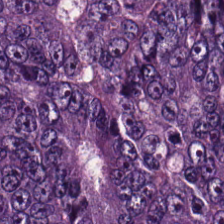Stain: hematoxylin and eosin.
Preparation: FFPE tissue section.
Classification: adenocarcinoma.
